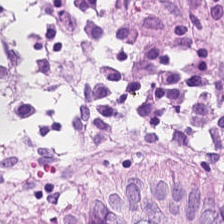Hematoxylin-and-eosin stained section; WSI patch.
This field is benign colonic mucosa.
